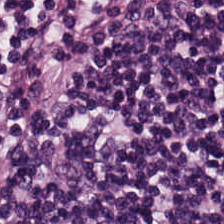Whole-slide-image patch. H&E — The predominant tissue is lymphocytes.
